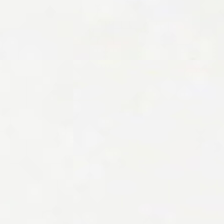Brightfield microscopy · hematoxylin and eosin · 20× equivalent magnification. The classification is no tissue.
